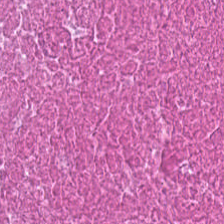H&E-stained tissue section; 224×224 pixel tile.
Tissue type — cellular debris.
